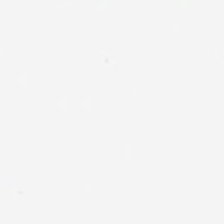Background — no tissue in this field.
